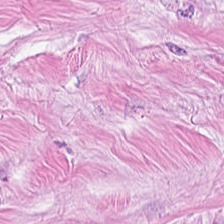The tissue class is cancer-associated stroma.
